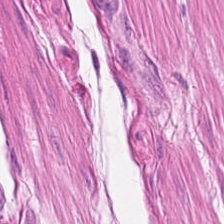H&E stain. Muscularis.
